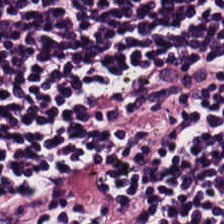FFPE · H&E-stained tissue section.
{"tissue_type": "lymphocytes"}
